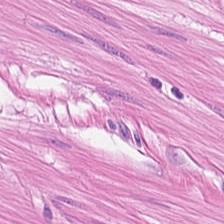Hematoxylin-and-eosin stained section.
The tissue class is muscularis.
